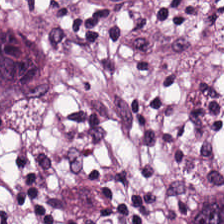224×224 px patch; H&E. The tissue here is cancer-associated stroma.
